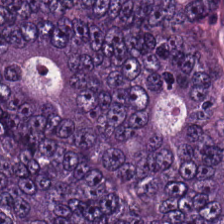Q: What is shown in this field?
A: The field shows colorectal adenocarcinoma.
